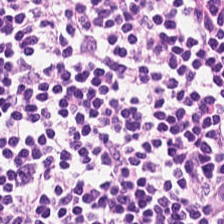Hematoxylin-and-eosin stained section.
Finding — lymphocytes.
